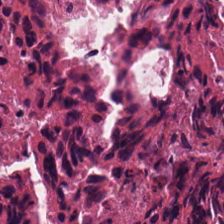H&E stain.
Predominant tissue — debris.
